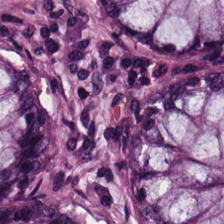H&E stain.
The predominant tissue is benign colonic mucosa.
